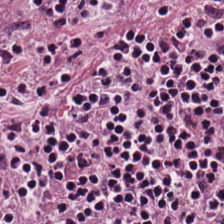The predominant tissue is lymphoid infiltrate.
